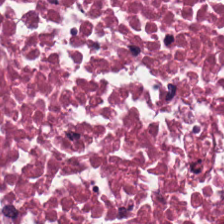Hematoxylin and eosin.
Tissue type = necrotic debris.
